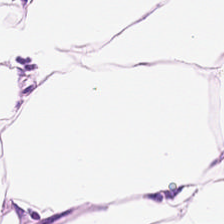Hematoxylin-and-eosin section: adipocytes.
